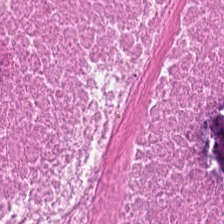20× equivalent magnification; hematoxylin and eosin.
The tissue here is cellular debris.
